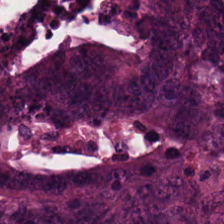H&E stain; 0.5 microns per pixel.
Q: Identify the tissue.
A: It is tumor epithelium.
